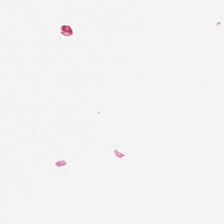Hematoxylin-and-eosin stained section. 0.5 µm/px.
Empty field — empty background.
